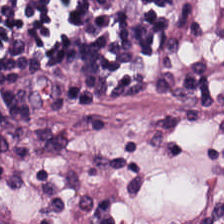Hematoxylin-and-eosin stained section.
Q: What tissue is shown?
A: It is lymphocytic infiltrate.
